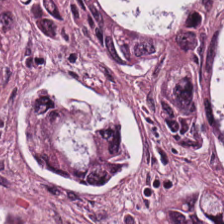Hematoxylin and eosin. Finding — adenocarcinoma.
